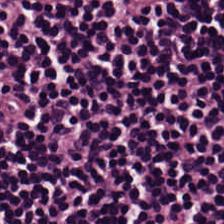Hematoxylin and eosin. 0.5 µm per pixel.
Finding → lymphocytes.
